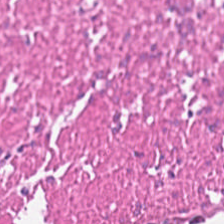Stain: H&E-stained tissue section.
Tissue class: smooth muscle.
